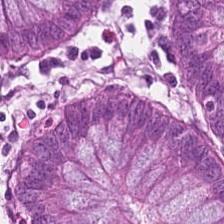H&E.
The predominant tissue is non-neoplastic colon mucosa.
